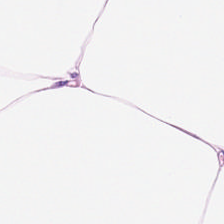Stain: H&E-stained tissue section.
Tile size: 224×224 px patch.
Acquisition: whole-slide-image patch.
Classification: adipose tissue.
